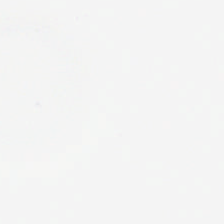H&E.
This patch shows background (no tissue).
